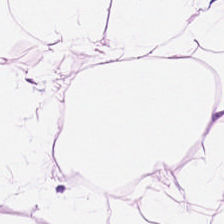Hematoxylin-and-eosin stained section — The predominant tissue is fat tissue.
